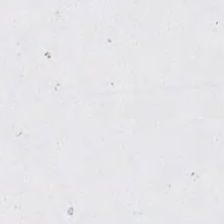Impression → background.
